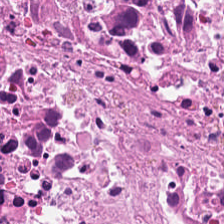H&E stain. Cellular debris.
